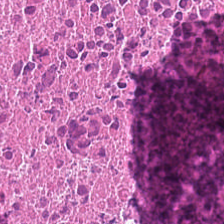Hematoxylin-and-eosin stained section. The predominant tissue is debris.
